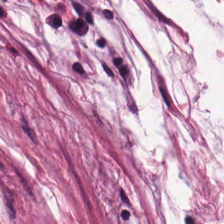H&E stain — The tissue type is extracellular mucin.
